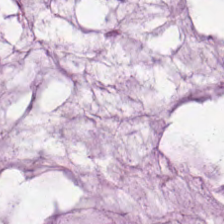224×224 pixel tile · H&E-stained tissue section.
Mucus.
